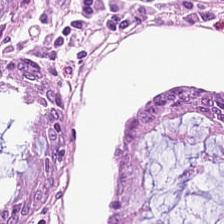Q: What does this patch show?
A: This is normal colon mucosa.
